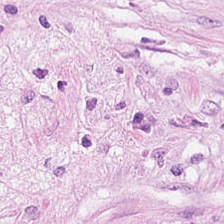Q: Identify the tissue.
A: The field shows desmoplastic stroma.
